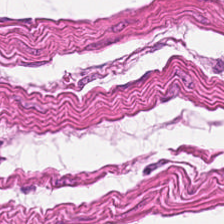Brightfield microscopy · 0.5 µm per pixel · hematoxylin and eosin.
Q: What tissue is shown?
A: Smooth muscle.
